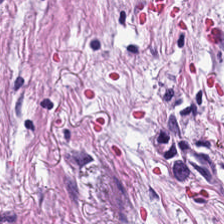Formalin-fixed paraffin-embedded section. Brightfield. H&E. Finding → tumor stroma.
